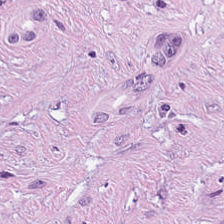Hematoxylin-and-eosin stained section.
Tissue — tumor-associated stroma.
